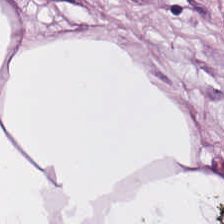H&E-stained tissue section. Adipose tissue.
